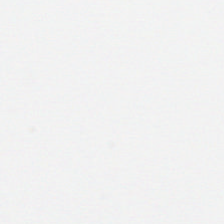The classification is background.
